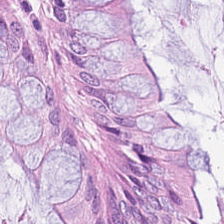Finding → non-neoplastic colon mucosa.
